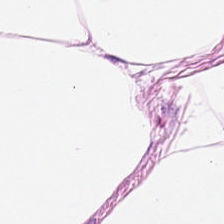Stain: H&E.
Tissue type: adipose.
